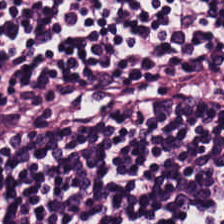Hematoxylin-and-eosin stained section — Tissue class = lymphocytes.
